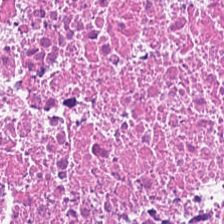Stain: hematoxylin and eosin.
Classification: debris.
